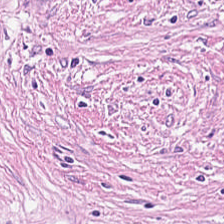H&E patch showing tumor stroma.
